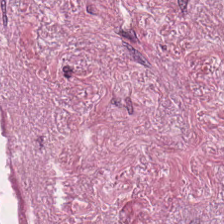Whole-slide-image patch. H&E-stained tissue section. 0.5 µm per pixel — This patch shows cancer-associated stroma.
